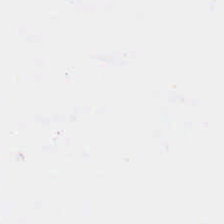Hematoxylin and eosin; 20× equivalent magnification. Classification — background (no tissue).
